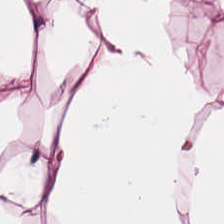Stain: H&E.
Tissue type: adipose tissue.
